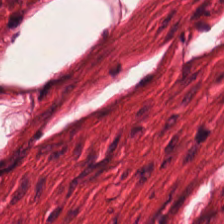Hematoxylin-and-eosin stained section.
The predominant tissue is smooth muscle.
